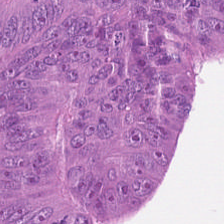Finding → adenocarcinoma.
